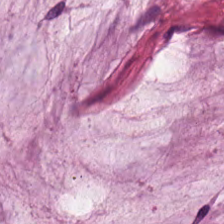This field is extracellular mucin.
